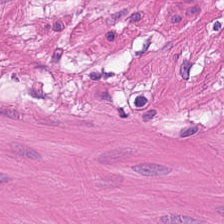H&E. Tissue class = smooth-muscle tissue.
